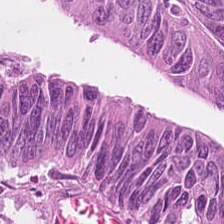Stain: hematoxylin and eosin.
Predominant tissue: colorectal adenocarcinoma epithelium.
